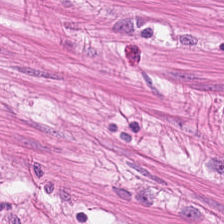This field is smooth-muscle tissue.
